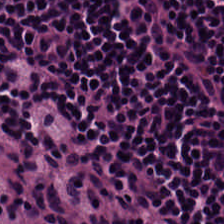The predominant tissue is lymphocytes.
